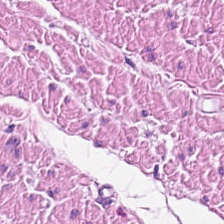This patch shows muscularis.
